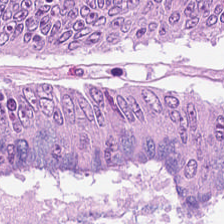H&E stain; 0.5 µm/px.
Classification — malignant epithelium.
